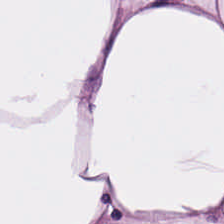Impression → adipocytes.
